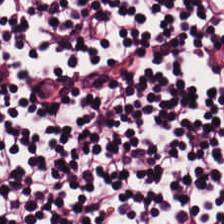Brightfield · H&E-stained tissue section — Lymphocytic infiltrate.
